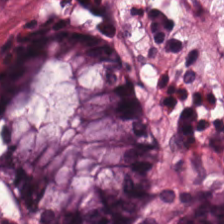H&E stain; 20× equivalent magnification; whole-slide-image patch. Impression — benign colonic mucosa.
